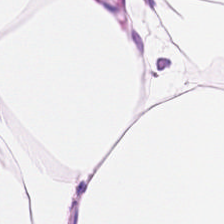Showing adipose tissue.
